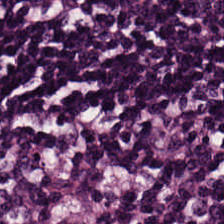H&E. 0.5 µm per pixel. The tissue here is lymphocyte aggregate.
